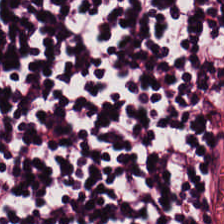Hematoxylin and eosin.
Impression → lymphocyte aggregate.
